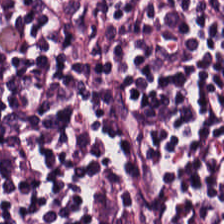Predominantly lymphoid infiltrate.
